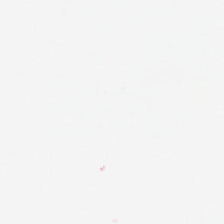Background — no tissue in this field.
